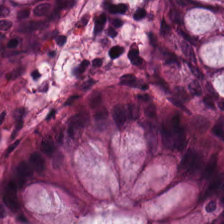H&E stain · FFPE tissue section — Q: Classify this patch.
A: It is normal colon mucosa.
